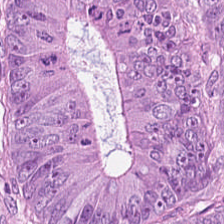H&E stain — This field is colorectal adenocarcinoma.
